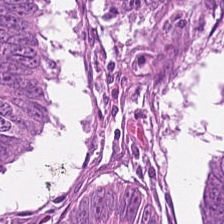This patch shows malignant epithelium.
